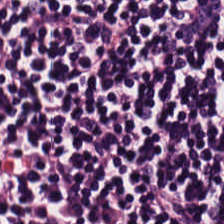{"tissue_type": "lymphoid infiltrate"}
